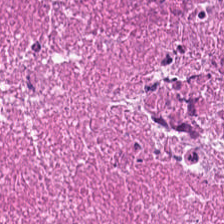Brightfield microscopy · hematoxylin-and-eosin stained section · FFPE tissue section — Necrotic debris.
